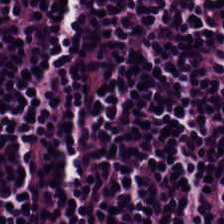Stain: H&E stain.
Tissue class: lymphocytic infiltrate.
